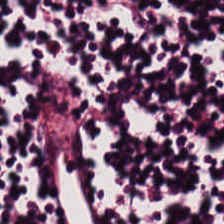H&E-stained tissue section — Predominant tissue: lymphocytes.
